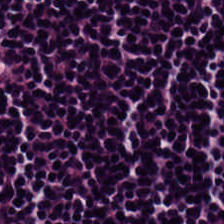Stain: H&E.
Preparation: formalin-fixed paraffin-embedded section.
Resolution: 20× equivalent magnification.
Tissue class: lymphocyte aggregate.
